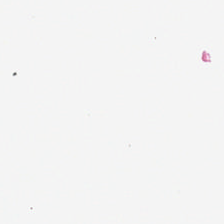Hematoxylin and eosin.
Classification = background (no tissue).
